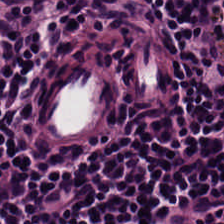Predominant tissue = lymphoid infiltrate.
